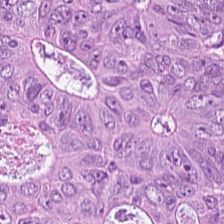Hematoxylin-and-eosin stained section; 224×224 px patch; FFPE tissue section — Q: What is shown here?
A: The field shows adenocarcinoma.
